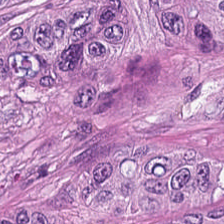H&E-stained tissue section; 224×224 px tile.
Showing malignant epithelium.
